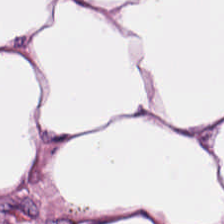Tissue class — adipose tissue.
